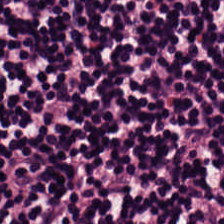H&E stain. Tissue: lymphocytic infiltrate.
